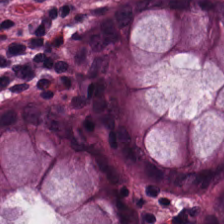224×224 px patch. H&E. Formalin-fixed paraffin-embedded section — Tissue type — non-neoplastic colon mucosa.
